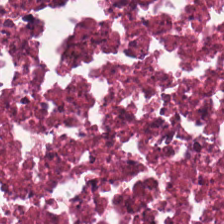H&E; FFPE tissue section.
The tissue here is cellular debris.
